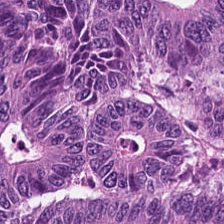H&E-stained tissue section; brightfield. Showing tumor epithelium.
